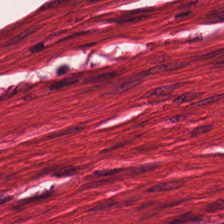H&E. 224×224 px tile. This patch shows muscularis.
